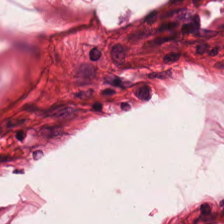Stain: H&E.
Tissue class: smooth muscle.
